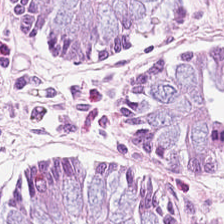Hematoxylin-and-eosin stained section · 0.5 microns per pixel. Finding — benign colonic mucosa.
